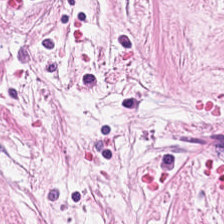H&E stain. The predominant tissue is cancer-associated stroma.
